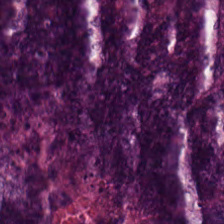H&E stain. FFPE. Malignant epithelium.
